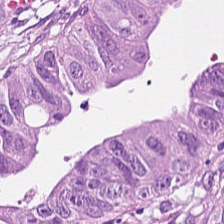Stain: H&E-stained tissue section.
Resolution: 20× equivalent magnification.
Tissue type: colorectal adenocarcinoma epithelium.
